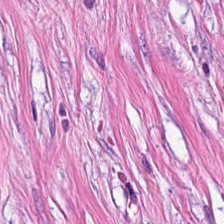Hematoxylin and eosin — Finding — tumor stroma.
